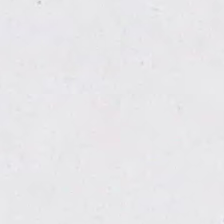H&E-stained tissue section. Q: Classify this patch.
A: It is empty background.
